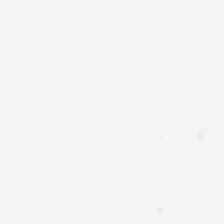Hematoxylin-and-eosin stained section; 0.5 microns per pixel — Content — background (no tissue).
